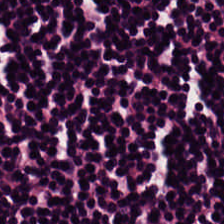Brightfield microscopy. Hematoxylin-and-eosin stained section. 20× equivalent magnification.
Predominantly lymphocyte aggregate.
